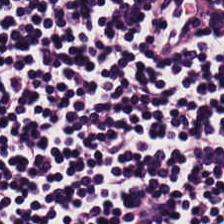Hematoxylin and eosin. 0.5 µm per pixel — Showing lymphoid infiltrate.
